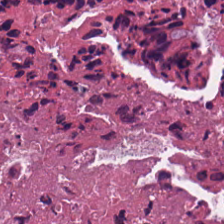20× equivalent magnification · hematoxylin-and-eosin stained section.
Q: What is the predominant tissue type?
A: This is cellular debris.
